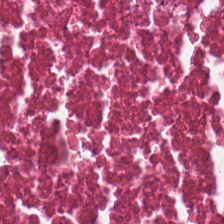Stain: H&E.
Predominant tissue: necrotic debris.
